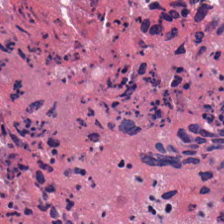0.5 microns per pixel · H&E stain.
Q: What is the predominant tissue type?
A: This is cellular debris.
